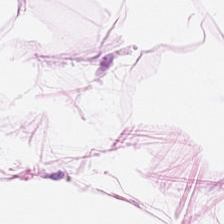Stain: H&E.
Resolution: 0.5 microns per pixel.
Predominant tissue: adipose.
